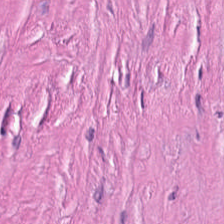H&E-stained tissue section.
The tissue here is cancer-associated stroma.
